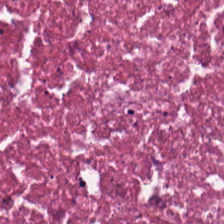H&E-stained tissue section · whole-slide-image patch. Q: Identify the tissue.
A: Cellular debris.
